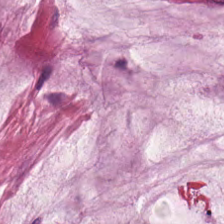Hematoxylin and eosin — The predominant tissue is mucin.
